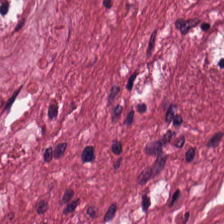H&E; FFPE. The classification is desmoplastic stroma.
